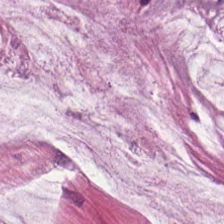Hematoxylin and eosin. This patch shows extracellular mucin.
